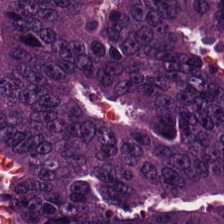H&E-stained tissue section — Tumor epithelium.
